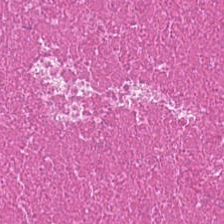H&E stain — Q: What does this patch show?
A: Debris.
